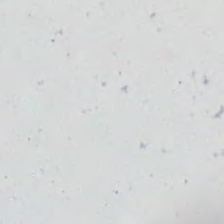{"content": "empty background"}
